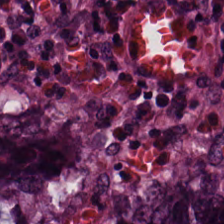Hematoxylin-and-eosin stained section.
Q: What type of tissue is this?
A: It is tumor epithelium.
